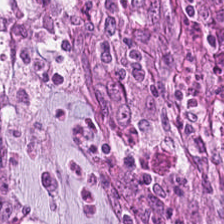The tissue type is malignant epithelium.
